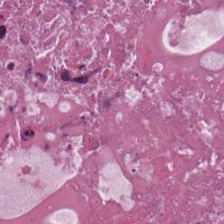H&E-stained section; the field shows necrotic debris.
